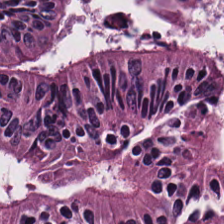H&E stain. Tissue class — malignant epithelium.
